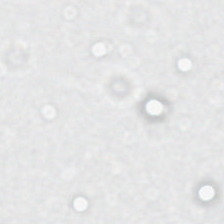Field content: no tissue.
